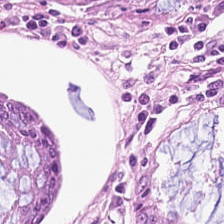Impression — benign colonic mucosa.
